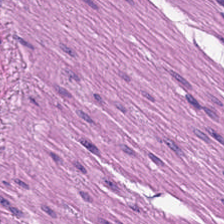WSI patch · H&E stain.
The tissue here is muscularis.
